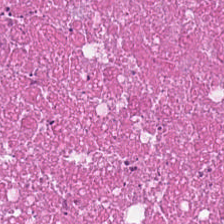Stain: hematoxylin and eosin.
Classification: cellular debris.
